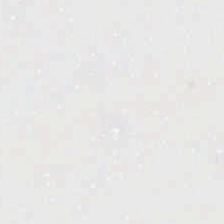This field is background (no tissue).
